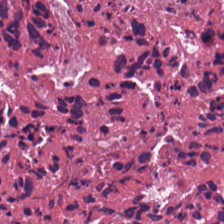H&E-stained tissue section — The tissue type is debris.
